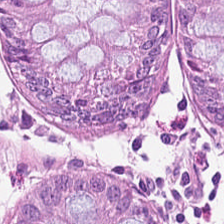H&E-stained tissue section — Q: Identify the tissue.
A: The field shows normal colonic mucosa.
